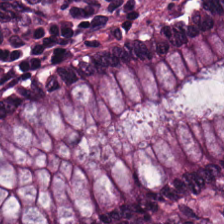H&E stain; whole-slide-image patch; formalin-fixed paraffin-embedded section — Predominantly non-neoplastic colon mucosa.
